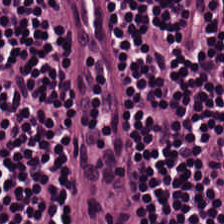The tissue here is lymphocytic infiltrate.
